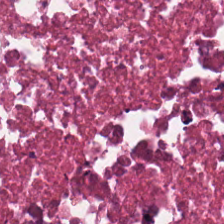H&E-stained section; the field shows cellular debris.
